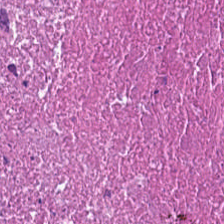Formalin-fixed paraffin-embedded section; H&E stain — Classification — debris.
